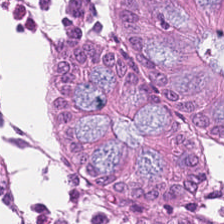Hematoxylin and eosin. Q: What is the predominant tissue type?
A: The field shows non-neoplastic colon mucosa.
